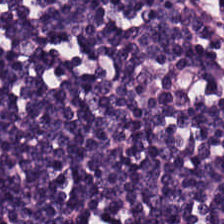Brightfield microscopy. H&E.
Classification — lymphocytes.
